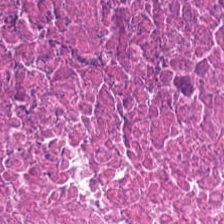H&E. Q: What is shown in this field?
A: It is cellular debris.
